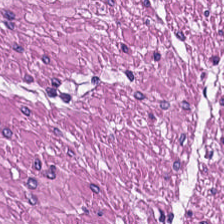Hematoxylin-and-eosin stained section.
Q: What tissue type is shown here?
A: The field shows smooth-muscle tissue.
